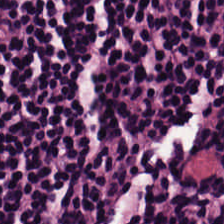H&E stain · 0.5 µm per pixel. The tissue here is lymphocytes.
